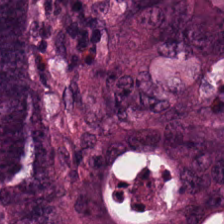WSI patch. 224×224 px patch. H&E stain. Q: What does this patch show?
A: This is colorectal adenocarcinoma.
